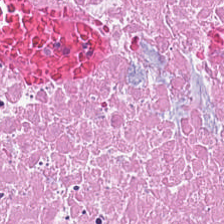H&E-stained tissue section — Finding → debris.
